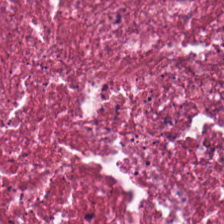Histology → cellular debris.
